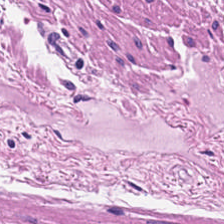Tissue: smooth muscle.
